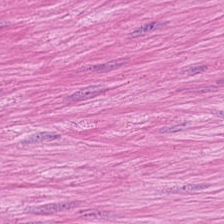H&E.
This field is smooth-muscle tissue.
